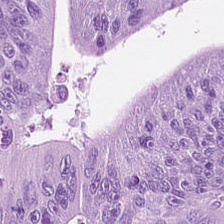224×224 pixel tile · H&E.
Histology — colorectal adenocarcinoma epithelium.
